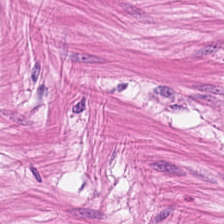20× equivalent magnification; hematoxylin and eosin — The tissue type is smooth-muscle tissue.
